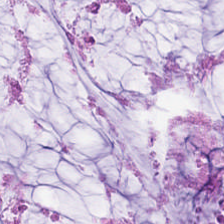Hematoxylin-and-eosin stained section.
The tissue here is mucus.
